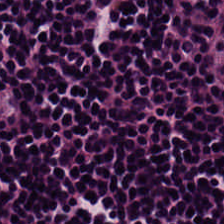H&E-stained tissue section. Classification — lymphoid infiltrate.
